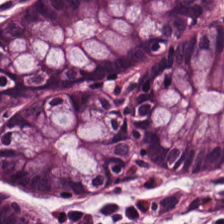This patch shows normal colonic mucosa.
